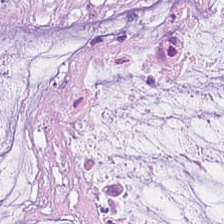FFPE · hematoxylin and eosin. Q: What is shown in this field?
A: Mucus.
